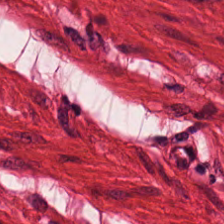H&E. 224×224 px tile.
Q: What does this patch show?
A: This is smooth-muscle tissue.
